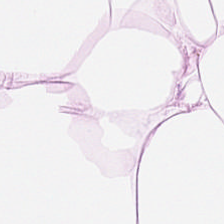Hematoxylin and eosin.
Q: Classify this patch.
A: Adipose tissue.
